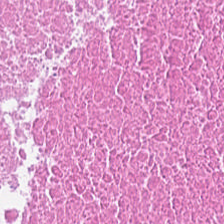Whole-slide-image patch; hematoxylin and eosin. The predominant tissue is cellular debris.
